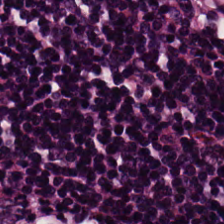This field is lymphoid infiltrate.
